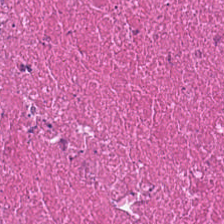Histology → debris.
